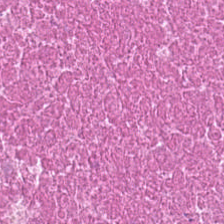Stain: H&E.
Tile size: 224×224 px tile.
Classification: cellular debris.
